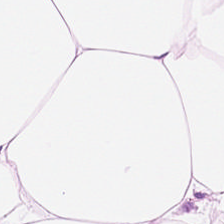Stain: H&E-stained tissue section.
Predominant tissue: adipose tissue.
